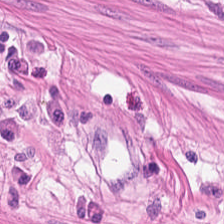H&E stain. Finding — muscularis.
